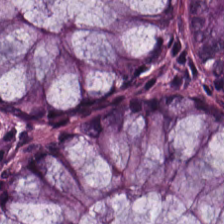Predominantly non-neoplastic colon mucosa.
